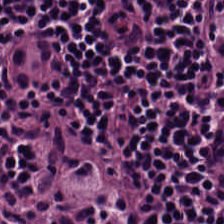Hematoxylin-and-eosin stained section — Tissue type — lymphocyte aggregate.
